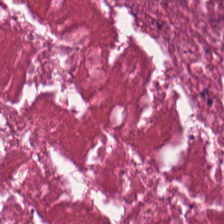The tissue here is necrotic debris.
